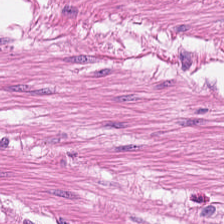Q: Classify this patch.
A: The field shows muscularis.
